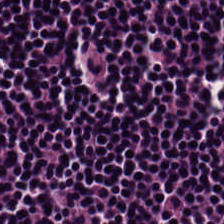224×224 px tile; H&E; formalin-fixed paraffin-embedded section. Predominant tissue — lymphocytes.
